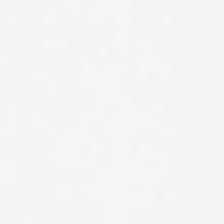This field is background (no tissue).
